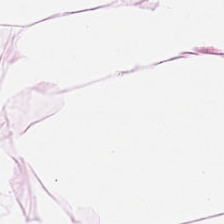Q: What is shown here?
A: The field shows adipocytes.
